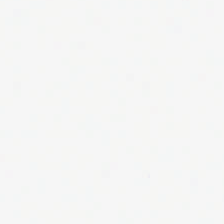Hematoxylin and eosin.
Histology → no tissue.
